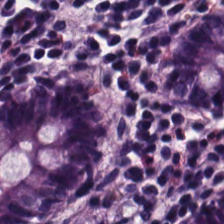0.5 µm/px. Hematoxylin-and-eosin stained section.
Benign colonic mucosa.
